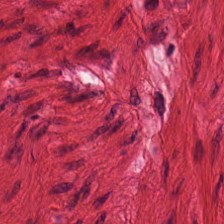Stain: H&E stain.
Preparation: FFPE tissue section.
Acquisition: brightfield.
Predominant tissue: smooth muscle.
